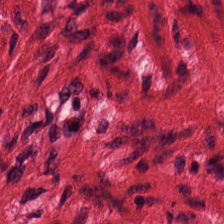H&E-stained tissue section. The tissue class is smooth-muscle tissue.
